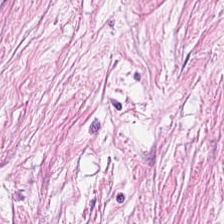Brightfield; hematoxylin and eosin.
Tissue type: desmoplastic stroma.
